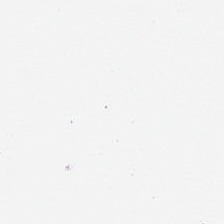Hematoxylin-and-eosin stained section. 224×224 px patch.
Q: What is shown here?
A: It is background (no tissue).
